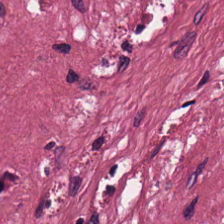224×224 px patch; H&E stain — Impression → desmoplastic stroma.
